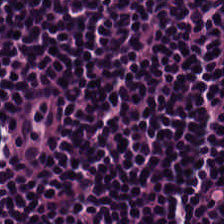H&E · whole-slide-image patch. The tissue here is lymphocytes.
